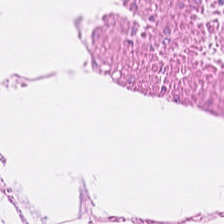Stain: H&E.
Tissue: smooth muscle.
